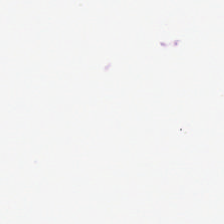20× equivalent magnification · H&E — Impression → background (no tissue).
